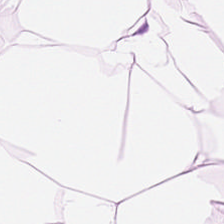This patch shows adipocytes.
